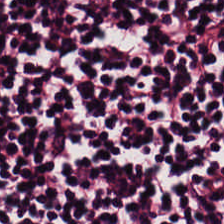H&E-stained tissue section. This patch shows lymphoid infiltrate.
